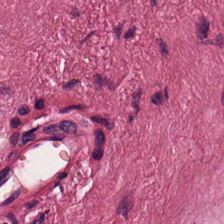Hematoxylin-and-eosin stained section; whole-slide-image patch; 224×224 px patch — Q: What does this patch show?
A: The field shows cancer-associated stroma.
